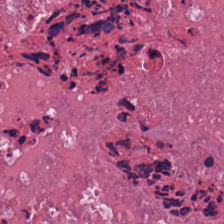Stain: H&E.
Tissue class: necrotic debris.
